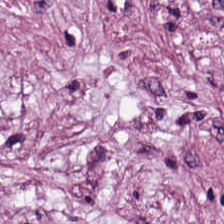224×224 px patch · 0.5 microns per pixel · hematoxylin and eosin.
This patch shows desmoplastic stroma.
